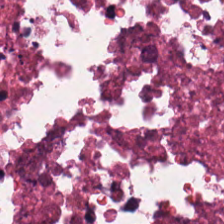Predominantly debris.
